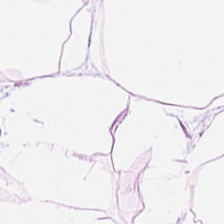Hematoxylin and eosin · 224×224 px tile · whole-slide-image patch.
Predominantly adipose tissue.
